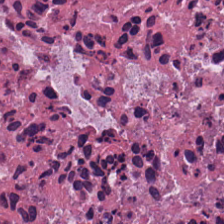Hematoxylin-and-eosin stained section.
This field is debris.
